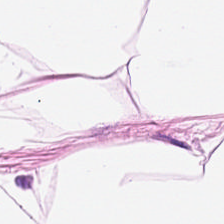H&E; FFPE tissue section.
Predominantly adipocytes.
